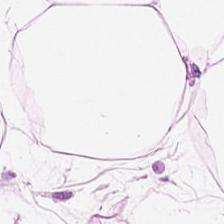H&E stain · FFPE tissue section · brightfield — {"tissue_type": "adipose tissue"}
